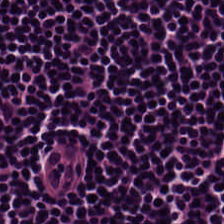H&E stain.
The predominant tissue is lymphoid infiltrate.
